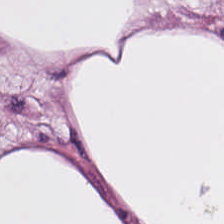H&E-stained section; the field shows adipose tissue.
